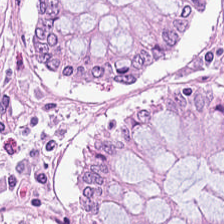Hematoxylin and eosin; brightfield microscopy.
Tissue type: non-neoplastic colon mucosa.
